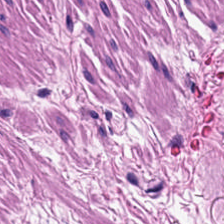H&E; 0.5 microns per pixel.
Impression → smooth-muscle tissue.
